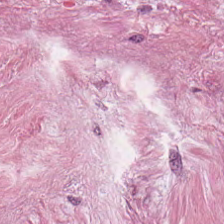H&E-stained tissue section · FFPE · WSI patch — Desmoplastic stroma.
